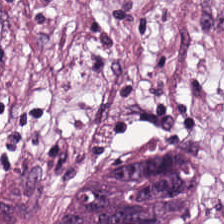Formalin-fixed paraffin-embedded section · H&E-stained tissue section · 20× equivalent magnification. {"tissue_type": "tumor stroma"}
